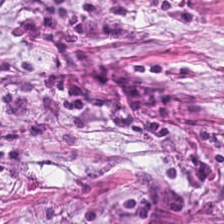Hematoxylin-and-eosin stained section. Tissue type — tumor-associated stroma.
